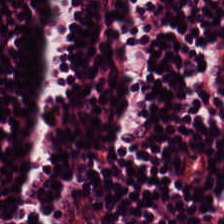Brightfield microscopy; H&E stain; 224×224 px tile. Q: Classify this patch.
A: The field shows lymphocytes.
